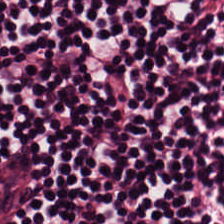H&E — Tissue: lymphocyte aggregate.
